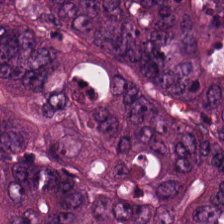Predominantly colorectal adenocarcinoma.
